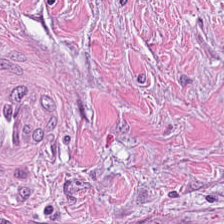H&E-stained section; the field shows tumor-associated stroma.
